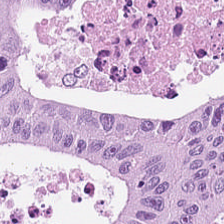Impression → tumor epithelium.
